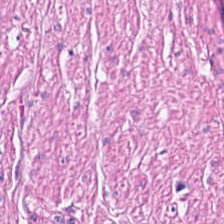Stain: hematoxylin and eosin.
Preparation: FFPE.
Classification: smooth-muscle tissue.
